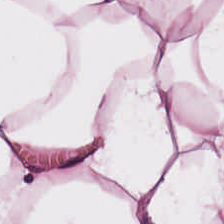Stain: hematoxylin-and-eosin stained section.
Preparation: FFPE.
Tile size: 224×224 px patch.
Tissue class: adipose tissue.
